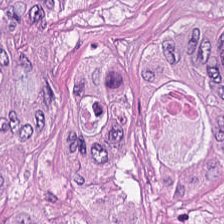Hematoxylin-and-eosin stained section.
{"tissue_type": "colorectal adenocarcinoma epithelium"}
